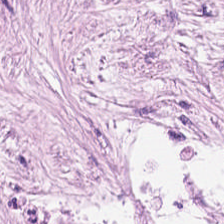H&E-stained tissue section. 224×224 px patch. The tissue here is desmoplastic stroma.
